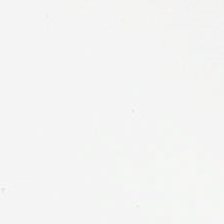No tissue.
